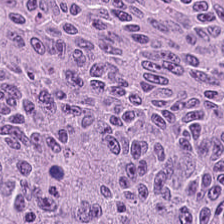H&E.
Predominant tissue — adenocarcinoma.
